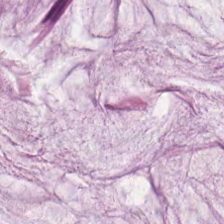H&E.
Predominantly extracellular mucin.
